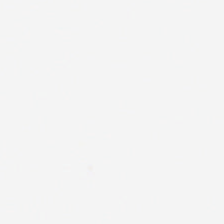0.5 µm/px; hematoxylin-and-eosin stained section. Background — no tissue in this field.
